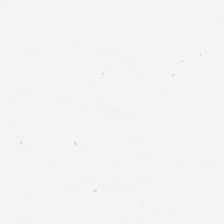Background.
